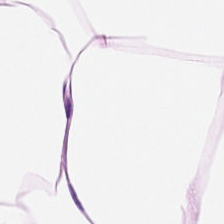Predominant tissue = adipose tissue.
